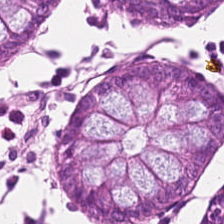Q: Classify this patch.
A: The field shows normal colon mucosa.
